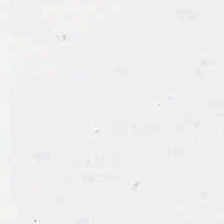H&E stain. Q: Classify this patch.
A: The field shows background (no tissue).
